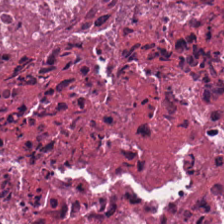H&E — This field is necrotic debris.
